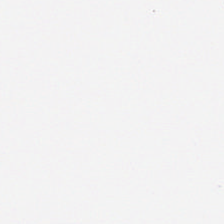Brightfield microscopy. Hematoxylin-and-eosin stained section. Field content — no tissue.
